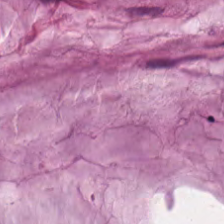Impression → mucin.
